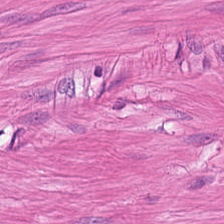Stain: hematoxylin-and-eosin stained section.
Tissue type: muscularis.
